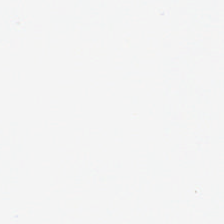Hematoxylin and eosin. The field content is no tissue.
